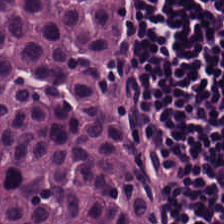H&E — This patch shows lymphocyte aggregate.
